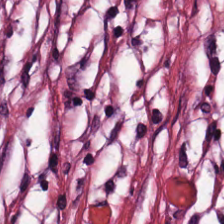H&E-stained tissue section.
Impression → desmoplastic stroma.
